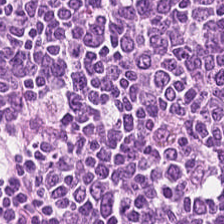The predominant tissue is lymphocytes.
